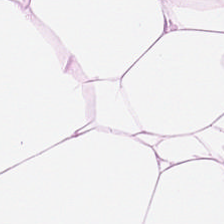FFPE tissue section. H&E-stained tissue section — Predominantly fat tissue.
